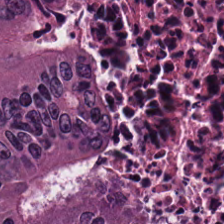H&E stain.
Tissue class = colorectal adenocarcinoma.
